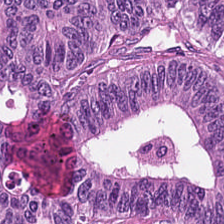Hematoxylin and eosin.
Classification = colorectal adenocarcinoma epithelium.
